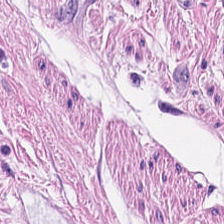0.5 µm per pixel · H&E-stained tissue section.
Tissue — muscularis.
